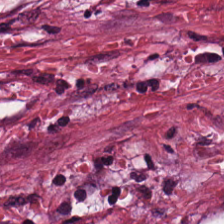0.5 µm/px; H&E-stained tissue section. The tissue is tumor-associated stroma.
